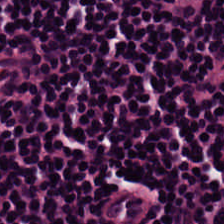H&E-stained tissue section; brightfield — Q: Classify this patch.
A: It is lymphocytes.
